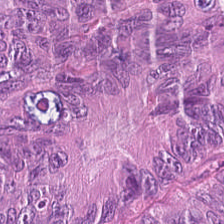FFPE. H&E. Brightfield.
Q: What type of tissue is this?
A: Adenocarcinoma.
